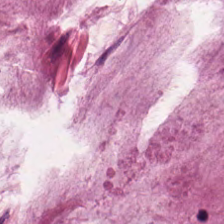0.5 µm/px. Formalin-fixed paraffin-embedded section. H&E stain. The predominant tissue is mucin.
